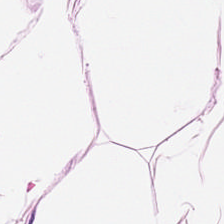Hematoxylin-and-eosin stained section · 0.5 microns per pixel — Predominant tissue = fat tissue.
